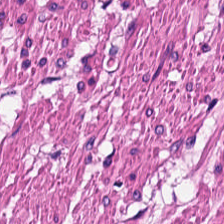Stain: hematoxylin-and-eosin stained section.
Tissue type: smooth-muscle tissue.
